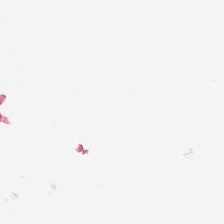Hematoxylin and eosin. This field is background (no tissue).
